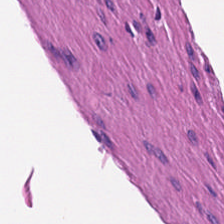H&E; 20× equivalent magnification.
Q: What does this patch show?
A: This is muscularis.
